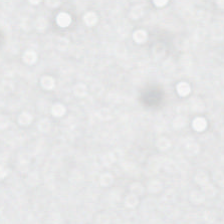H&E stain · whole-slide-image patch — The classification is background (no tissue).
